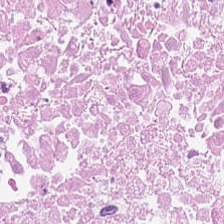H&E. The tissue is debris.
